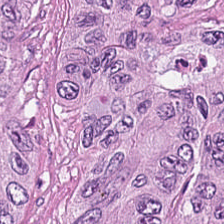Hematoxylin-and-eosin stained section · formalin-fixed paraffin-embedded section. The tissue is colorectal adenocarcinoma.
